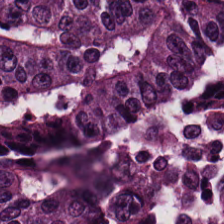Malignant epithelium.
